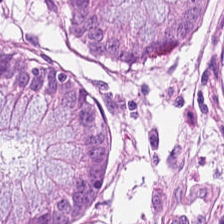Hematoxylin and eosin · brightfield — The tissue here is non-neoplastic colon mucosa.
